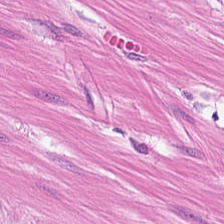H&E-stained tissue section. Tissue: muscularis.
